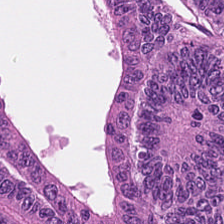Hematoxylin-and-eosin stained section · formalin-fixed paraffin-embedded section · brightfield.
Finding → malignant epithelium.
